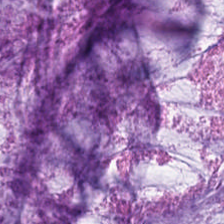Hematoxylin-and-eosin section: extracellular mucin.
